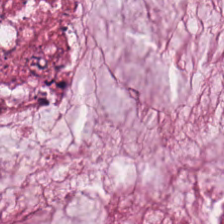Hematoxylin-and-eosin stained section. The tissue is extracellular mucin.
